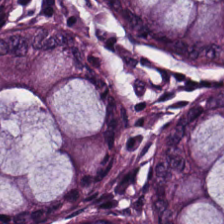H&E-stained tissue section.
This patch shows normal colonic mucosa.
